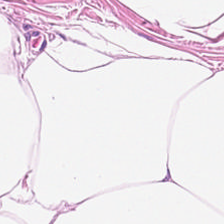224×224 px tile · brightfield microscopy · H&E stain — Adipose.
